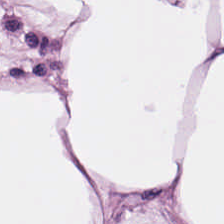Predominantly adipose tissue.
